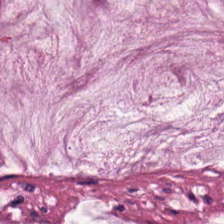H&E.
Showing mucus.
